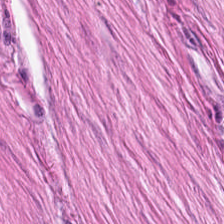20× equivalent magnification; H&E-stained tissue section.
Histology — smooth muscle.
